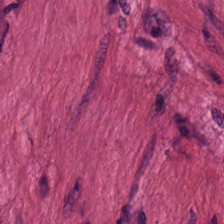FFPE; brightfield; H&E — Classification = smooth-muscle tissue.
